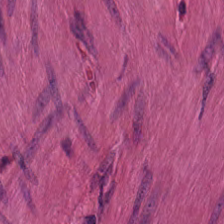Showing smooth muscle.
